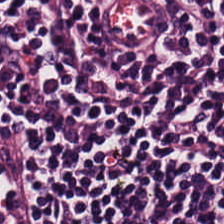Hematoxylin and eosin. Tissue type — lymphocytic infiltrate.
